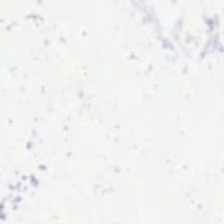Hematoxylin-and-eosin stained section · 0.5 microns per pixel.
Empty field — background.
